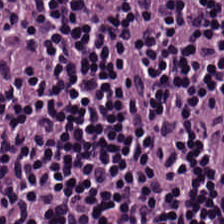0.5 µm per pixel; hematoxylin-and-eosin stained section. This patch shows lymphocytic infiltrate.
